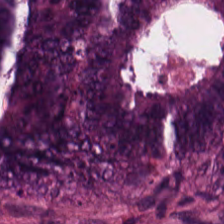H&E stain. Tissue type = malignant epithelium.
